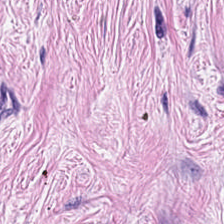Impression → tumor stroma.
